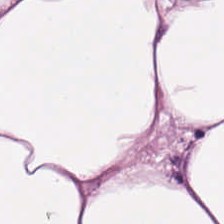Tissue — fat tissue.
